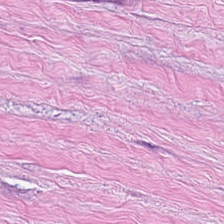Brightfield. H&E. 0.5 µm per pixel — Q: What type of tissue is this?
A: Tumor-associated stroma.
